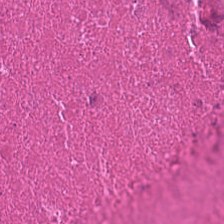Finding — debris.
